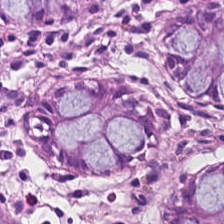H&E stain. Formalin-fixed paraffin-embedded section. The predominant tissue is non-neoplastic colon mucosa.
